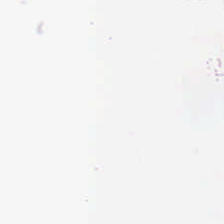Finding — empty background.
